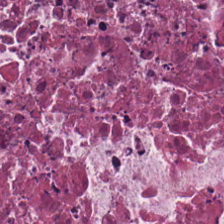Q: What is shown here?
A: Debris.
